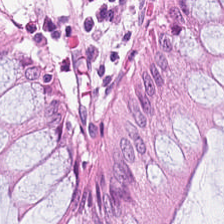Hematoxylin-and-eosin stained section; 224×224 px patch. Normal colonic mucosa.
